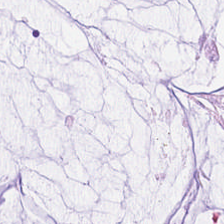Q: What type of tissue is this?
A: Mucin.
